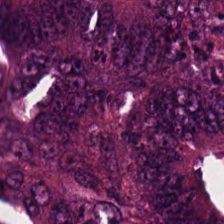Hematoxylin and eosin. The classification is adenocarcinoma.
